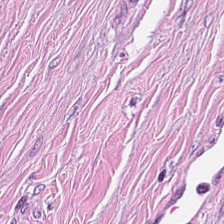Hematoxylin and eosin.
The predominant tissue is desmoplastic stroma.
